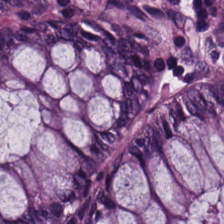H&E-stained tissue section · whole-slide-image patch.
Histology — normal colonic mucosa.
